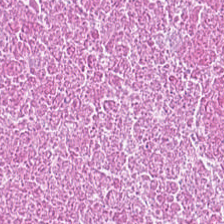Stain: H&E stain.
Tile size: 224×224 px patch.
Tissue type: debris.
